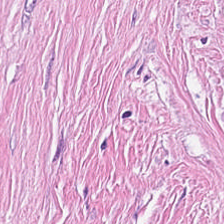Q: What is the predominant tissue type?
A: This is cancer-associated stroma.
